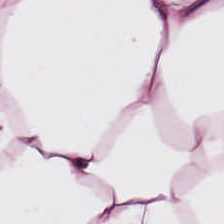Finding → adipose.
